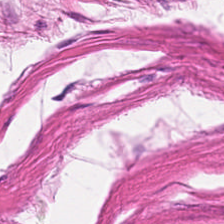Hematoxylin and eosin.
Predominantly smooth-muscle tissue.
